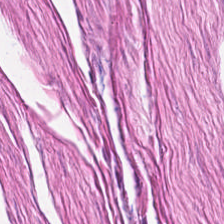WSI patch; hematoxylin-and-eosin stained section.
The classification is muscularis.
